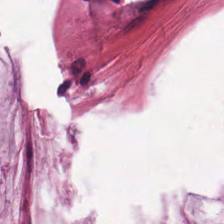Showing mucin.
